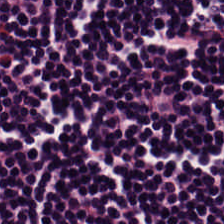Stain: hematoxylin-and-eosin stained section.
Tissue: lymphocytic infiltrate.
